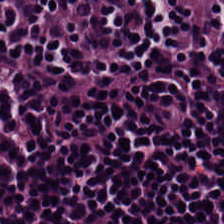Showing lymphocytes.
